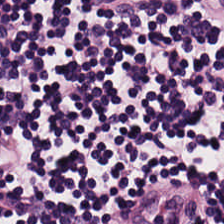Hematoxylin-and-eosin stained section. The predominant tissue is lymphocytes.
